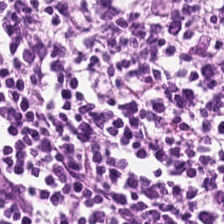Hematoxylin-and-eosin stained section. The tissue is lymphocyte aggregate.
